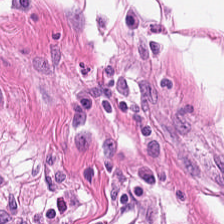Hematoxylin and eosin; WSI patch; 0.5 µm/px.
The tissue here is muscularis.
